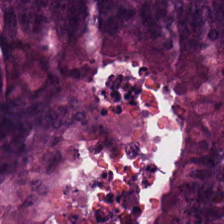Formalin-fixed paraffin-embedded section · H&E-stained tissue section.
This patch shows adenocarcinoma.
